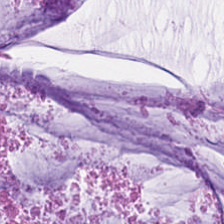224×224 px tile · H&E stain.
Tissue type — extracellular mucin.
